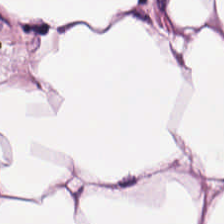Hematoxylin and eosin.
Predominantly fat tissue.
